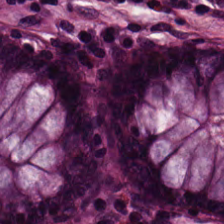FFPE. H&E-stained tissue section.
Q: What does this patch show?
A: Normal colon mucosa.
